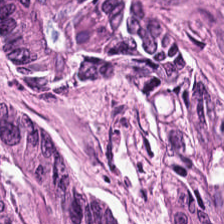Predominantly colorectal adenocarcinoma.
